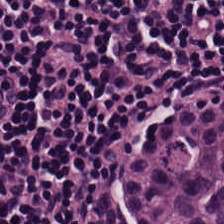The tissue here is lymphocyte aggregate.
